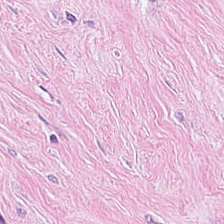Hematoxylin and eosin. The predominant tissue is tumor stroma.
